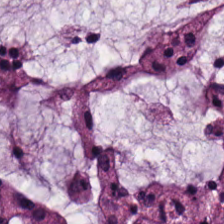Whole-slide-image patch. Hematoxylin-and-eosin stained section.
Q: What does this patch show?
A: Mucin.
